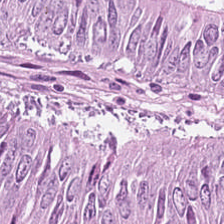Classification — tumor epithelium.
